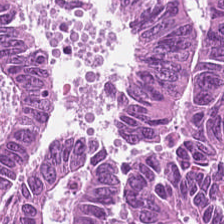Stain: H&E.
Tissue type: colorectal adenocarcinoma epithelium.
